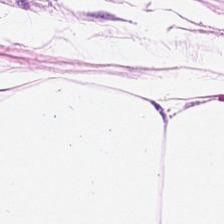Brightfield microscopy. H&E-stained tissue section.
Adipose.
